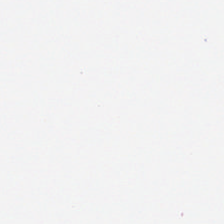H&E — Q: What does this patch show?
A: The field shows no tissue.
